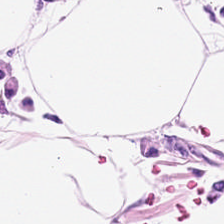Q: What tissue type is shown here?
A: Adipocytes.
